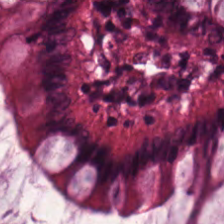Stain: H&E stain.
Resolution: 0.5 µm/px.
Tissue type: non-neoplastic colon mucosa.
